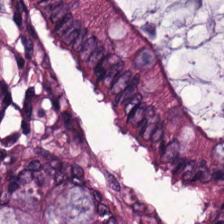224×224 px tile; H&E — Classification — normal colonic mucosa.
